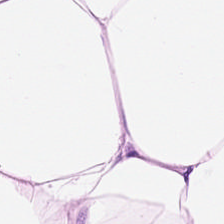H&E-stained tissue section. Fat tissue.
